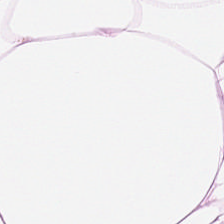H&E-stained tissue section. Classification: adipocytes.
